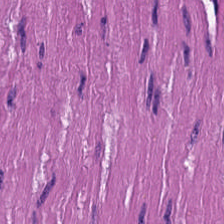Q: What is shown in this field?
A: The field shows smooth muscle.
